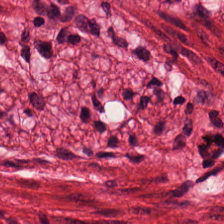Finding → smooth muscle.
